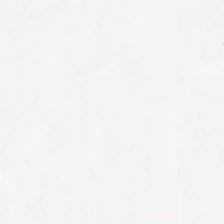0.5 µm per pixel · H&E stain — Content: background (no tissue).
